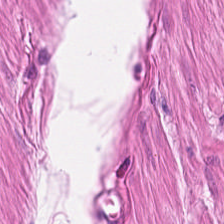H&E stain.
Predominantly smooth-muscle tissue.
